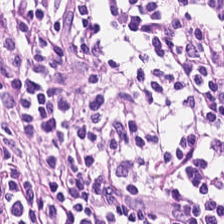H&E-stained tissue section — {"tissue_type": "lymphocytes"}
